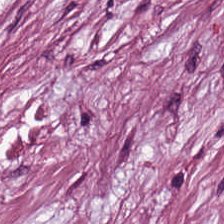Stain: hematoxylin-and-eosin stained section.
Preparation: FFPE tissue section.
Tile size: 224×224 px tile.
Tissue: cancer-associated stroma.
